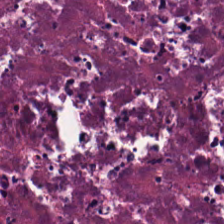H&E. 0.5 µm/px — Impression → cellular debris.
